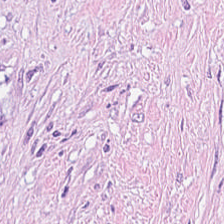H&E-stained tissue section — Classification: desmoplastic stroma.
